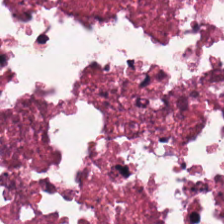FFPE tissue section. Hematoxylin-and-eosin stained section — The tissue here is debris.
